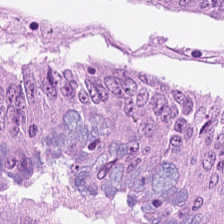The predominant tissue is adenocarcinoma.
